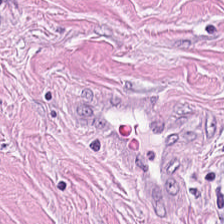Stain: H&E stain.
Resolution: 0.5 microns per pixel.
Tissue: tumor-associated stroma.
